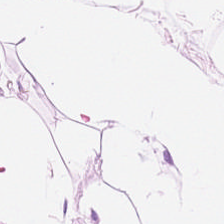Stain: hematoxylin and eosin.
Classification: adipocytes.
